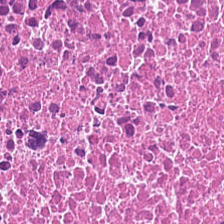Tissue class: debris.
